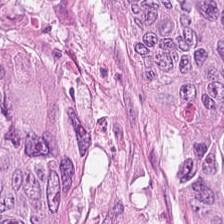Tissue class — adenocarcinoma.
